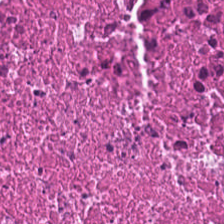Hematoxylin-and-eosin stained section; 20× equivalent magnification; 224×224 px tile — Q: What is the predominant tissue type?
A: Necrotic debris.
